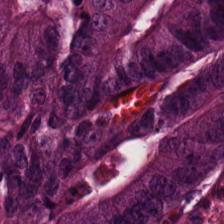H&E-stained tissue section — The tissue here is colorectal adenocarcinoma epithelium.
